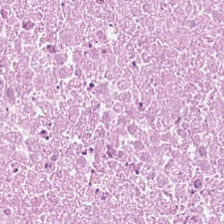Hematoxylin-and-eosin stained section. This field is debris.
